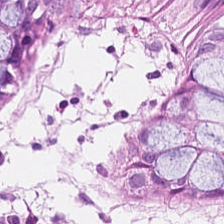Hematoxylin-and-eosin stained section.
Predominantly normal colonic mucosa.
